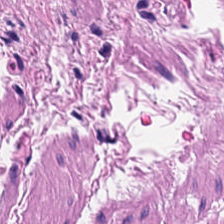Stain: H&E stain.
Tissue type: smooth-muscle tissue.
